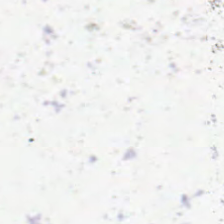This patch shows background.
